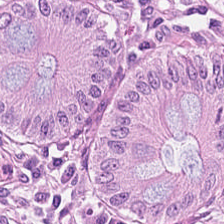H&E-stained tissue section. The predominant tissue is normal colonic mucosa.
